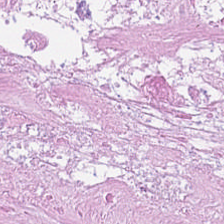Stain: hematoxylin and eosin.
Classification: necrotic debris.
